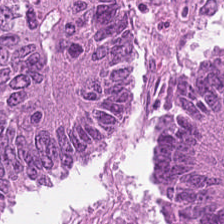Hematoxylin and eosin — Q: What tissue type is shown here?
A: It is adenocarcinoma.
